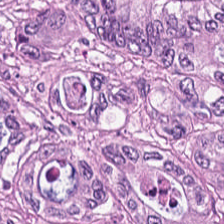H&E; 224×224 px patch; 20× equivalent magnification — Q: What is the predominant tissue type?
A: The field shows malignant epithelium.
